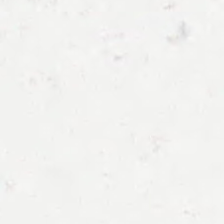Hematoxylin-and-eosin stained section.
This field is background (no tissue).
